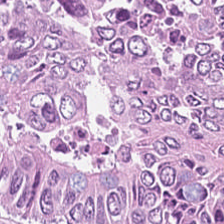224×224 pixel tile. H&E-stained tissue section. Histology → malignant epithelium.
